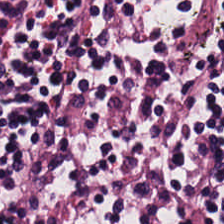Tissue class = lymphocyte aggregate.
